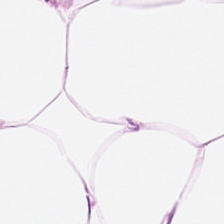0.5 µm per pixel; hematoxylin and eosin — Q: What is shown in this field?
A: It is fat tissue.
